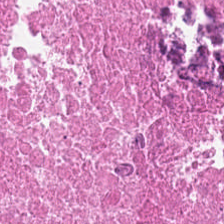FFPE. H&E. 20× equivalent magnification.
Impression → debris.
